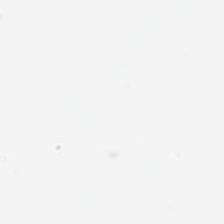H&E — No tissue present; background only.
